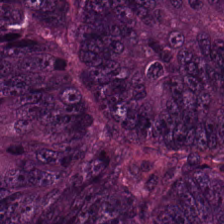Brightfield microscopy · hematoxylin and eosin · 20× equivalent magnification. Finding — adenocarcinoma.
